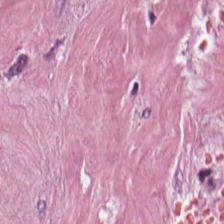H&E stain. Showing tumor stroma.
